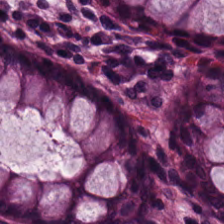Hematoxylin-and-eosin stained section. Tissue type: normal colonic mucosa.
